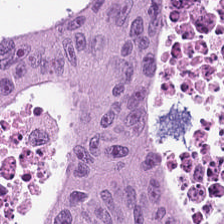Adenocarcinoma.
